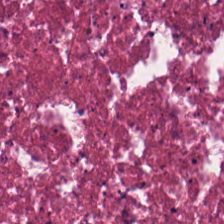Hematoxylin-and-eosin stained section · FFPE tissue section · 0.5 microns per pixel — Tissue class — cellular debris.
